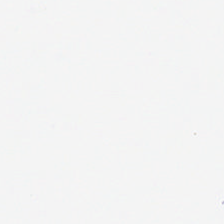H&E — Histology — background.
